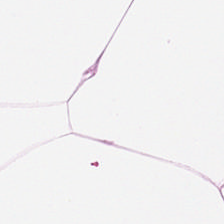Stain: hematoxylin-and-eosin stained section.
Classification: fat tissue.
